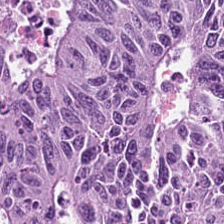Tissue = tumor epithelium.
